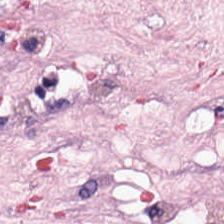H&E-stained tissue section · 20× equivalent magnification. Q: What is the predominant tissue type?
A: It is desmoplastic stroma.
